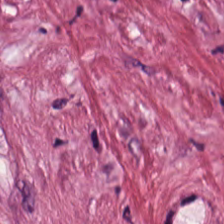FFPE · H&E stain.
Histology → desmoplastic stroma.
